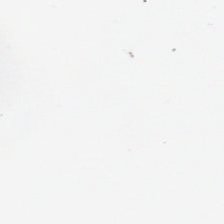H&E-stained tissue section — Q: What is shown here?
A: The field shows background (no tissue).
